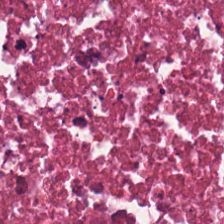H&E. {"tissue_type": "debris"}
